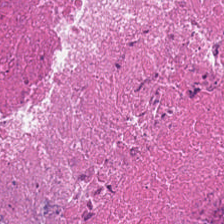Stain: H&E stain.
Tile size: 224×224 px tile.
Tissue: necrotic debris.
